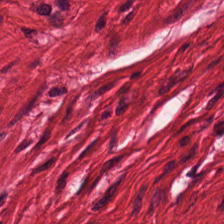Hematoxylin-and-eosin stained section. Finding → muscularis.
